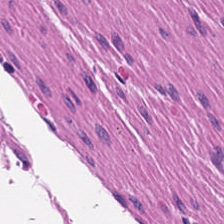H&E.
Smooth-muscle tissue.
